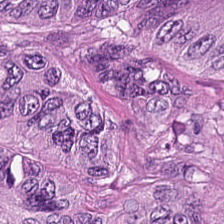H&E stain. Finding — adenocarcinoma.
